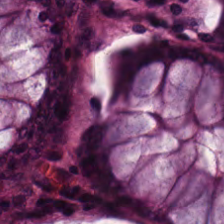0.5 µm/px. H&E. Brightfield microscopy — Classification — non-neoplastic colon mucosa.
